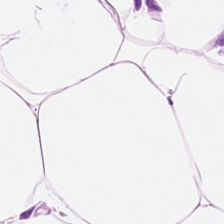Hematoxylin and eosin.
Impression → adipocytes.
